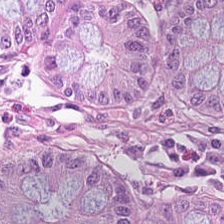Hematoxylin and eosin. Normal colon mucosa.
